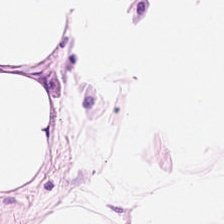FFPE tissue section · 224×224 pixel tile · H&E-stained tissue section. Tissue type = adipose.
